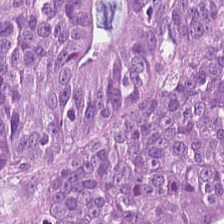Predominant tissue — adenocarcinoma.
